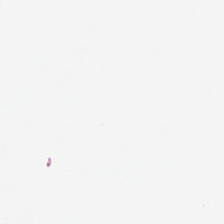Hematoxylin and eosin. Content — background (no tissue).
